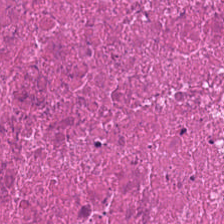Showing necrotic debris.
